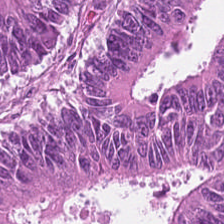224×224 pixel tile · 0.5 µm per pixel · hematoxylin-and-eosin stained section.
Tissue class: adenocarcinoma.
